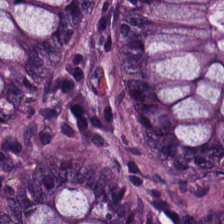224×224 px patch. FFPE tissue section. Hematoxylin and eosin. Predominantly normal colonic mucosa.
